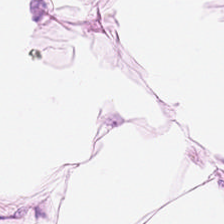Hematoxylin-and-eosin stained section; 0.5 microns per pixel — Q: What is shown here?
A: This is adipocytes.
